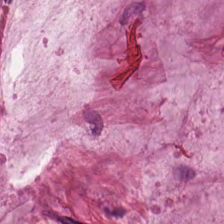H&E-stained tissue section. 224×224 px tile. Mucin.
